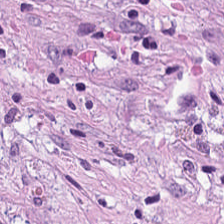Stain: hematoxylin-and-eosin stained section.
Classification: tumor-associated stroma.
